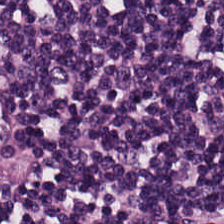Hematoxylin-and-eosin stained section. Tissue = lymphocytic infiltrate.
